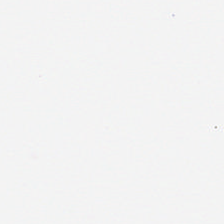This patch shows empty background.
